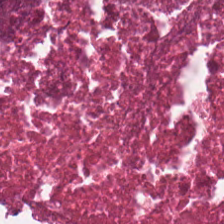H&E-stained section; the field shows debris.
